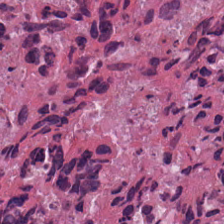The tissue is debris.
